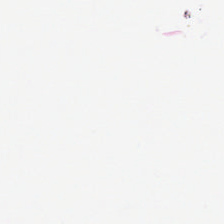H&E stain — Content = empty background.
